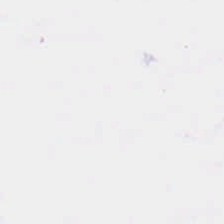H&E-stained tissue section — Q: What is shown here?
A: Background (no tissue).
